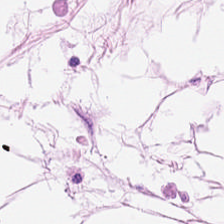H&E-stained tissue section. This field is adipose.
